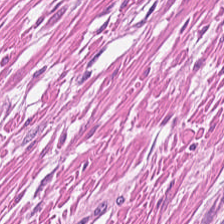Tissue type: muscularis.
